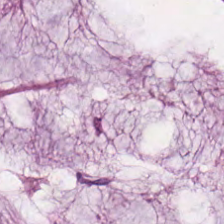Q: Classify this patch.
A: The field shows mucin.
